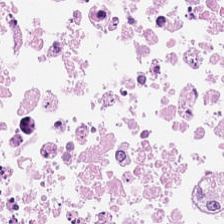This field is necrotic debris.
